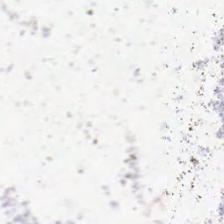Hematoxylin-and-eosin stained section. 20× equivalent magnification. 224×224 px patch.
Content = empty background.
